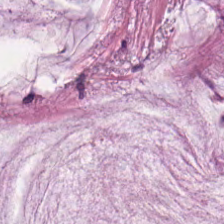Whole-slide-image patch. H&E-stained tissue section. Q: What tissue type is shown here?
A: The field shows mucin.
